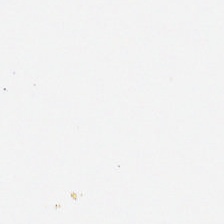Stain: hematoxylin-and-eosin stained section.
Field content: background.
